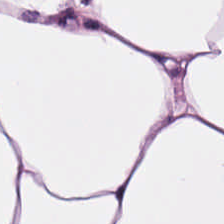H&E. Tissue class: adipose.
